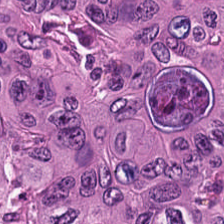H&E. 224×224 px tile. 0.5 µm per pixel — Colorectal adenocarcinoma epithelium.
